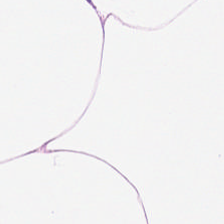Hematoxylin-and-eosin stained section. Showing adipocytes.
